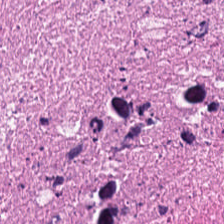Hematoxylin-and-eosin stained section — Predominantly necrotic debris.
